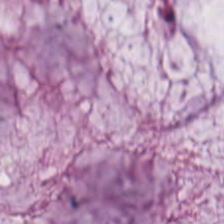Hematoxylin and eosin — Q: What is the predominant tissue type?
A: Extracellular mucin.
